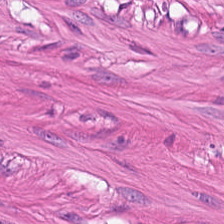224×224 px patch · H&E stain. Finding — smooth muscle.
